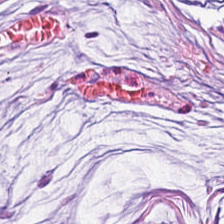H&E-stained tissue section — Showing mucus.
